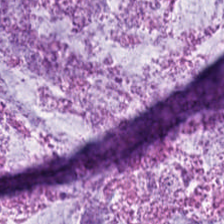Hematoxylin and eosin. Q: Classify this patch.
A: Extracellular mucin.
